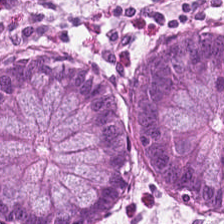H&E.
Classification — benign colonic mucosa.
